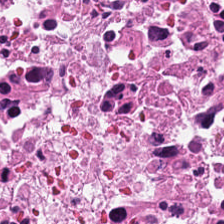Hematoxylin-and-eosin stained section. Predominant tissue — cellular debris.
